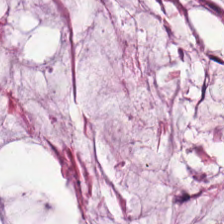Histology → mucin.
